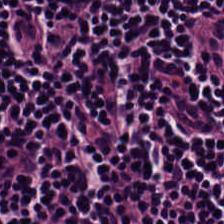20× equivalent magnification · brightfield · H&E. Predominant tissue: lymphocyte aggregate.
